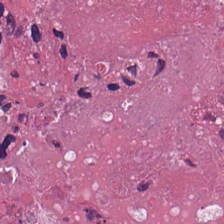H&E-stained section; the field shows debris.
